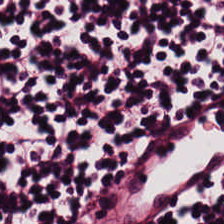Brightfield; hematoxylin and eosin; 0.5 µm per pixel.
Q: What type of tissue is this?
A: This is lymphocytes.
